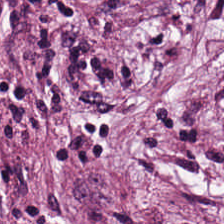H&E-stained tissue section. Impression — tumor stroma.
